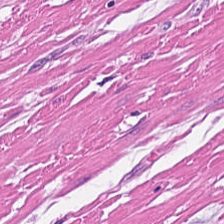224×224 px patch. Hematoxylin and eosin. Formalin-fixed paraffin-embedded section.
{"tissue_type": "smooth muscle"}
